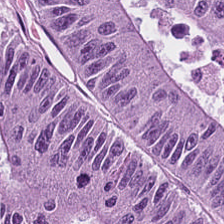Stain: hematoxylin and eosin.
Tile size: 224×224 px patch.
Resolution: 0.5 µm/px.
Classification: colorectal adenocarcinoma.
